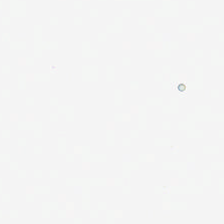Background — no tissue in this field.
